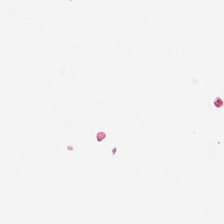H&E-stained tissue section — Background — no tissue in this field.
